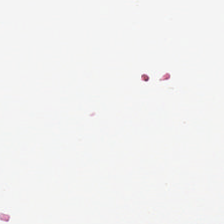H&E-stained tissue section — Classification = background.
